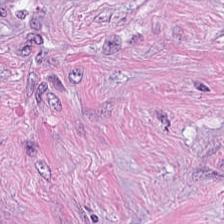H&E-stained tissue section — The tissue here is tumor-associated stroma.
